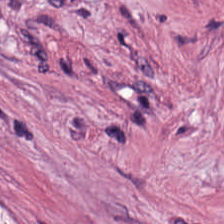Hematoxylin and eosin — This patch shows cancer-associated stroma.
